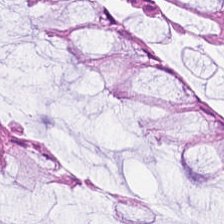224×224 pixel tile. Formalin-fixed paraffin-embedded section. H&E stain.
{"tissue_type": "benign colonic mucosa"}
